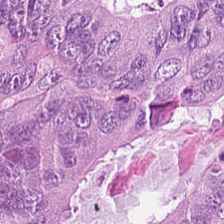H&E — Impression — tumor epithelium.
